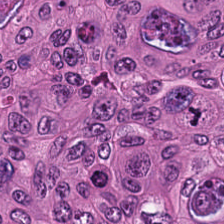224×224 px tile · FFPE tissue section · H&E-stained tissue section.
Q: What type of tissue is this?
A: This is colorectal adenocarcinoma.
